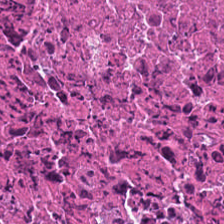Whole-slide-image patch · H&E-stained tissue section. Classification — debris.
